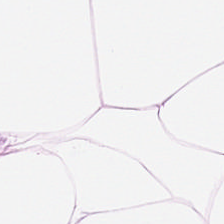H&E stain; 0.5 µm/px. Classification = adipose.
